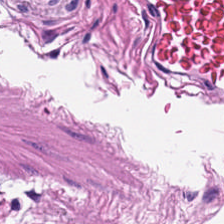FFPE. H&E stain.
{"tissue_type": "muscularis"}
